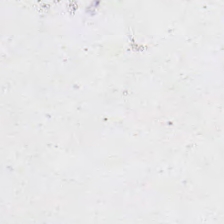H&E-stained tissue section · 224×224 pixel tile.
Classification — background (no tissue).
